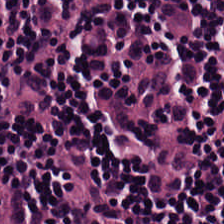Hematoxylin and eosin · 0.5 µm/px · formalin-fixed paraffin-embedded section. This field is lymphoid infiltrate.
